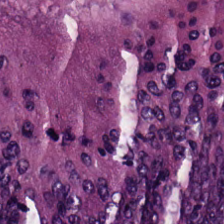Tissue type: colorectal adenocarcinoma.
